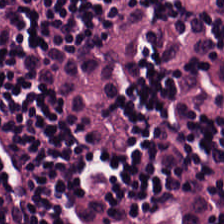Hematoxylin and eosin. Histology → lymphocytic infiltrate.
